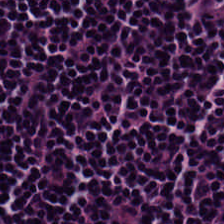Hematoxylin-and-eosin stained section — Q: What tissue type is shown here?
A: This is lymphoid infiltrate.
